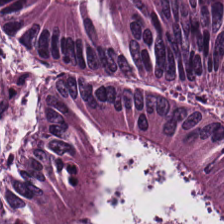Hematoxylin and eosin. This patch shows colorectal adenocarcinoma.
